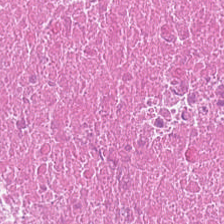Predominantly cellular debris.
